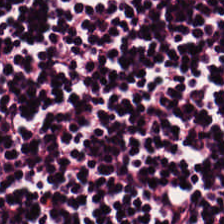Q: Identify the tissue.
A: Lymphocytic infiltrate.
